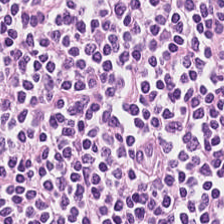H&E stain.
Q: What is the predominant tissue type?
A: The field shows lymphocytes.
